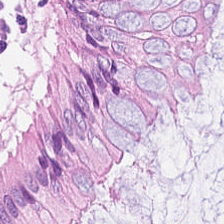Brightfield. H&E stain. Histology → normal colonic mucosa.
